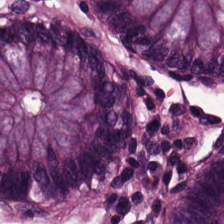H&E. {"tissue_type": "normal colonic mucosa"}
